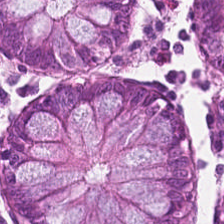Hematoxylin-and-eosin stained section — Tissue class — benign colonic mucosa.
